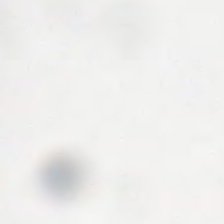Hematoxylin and eosin. This patch shows empty background.
